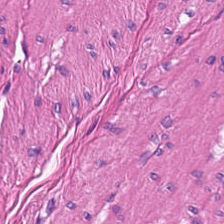H&E-stained tissue section · formalin-fixed paraffin-embedded section · 224×224 px tile — Predominant tissue: muscularis.
